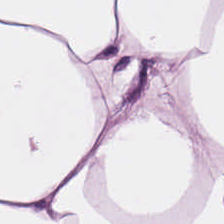Histology → adipose.
